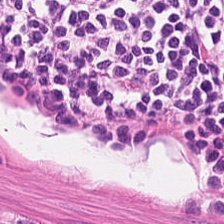224×224 px patch. H&E-stained tissue section.
Q: What is shown here?
A: Smooth muscle.
